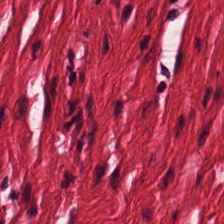224×224 px tile · hematoxylin and eosin — The predominant tissue is muscularis.
